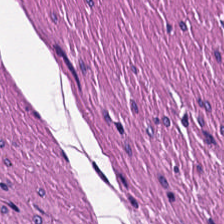Hematoxylin-and-eosin stained section — Classification = smooth-muscle tissue.
